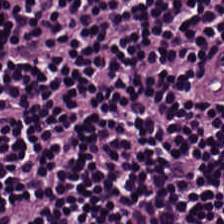{"tissue_type": "lymphocytes"}
